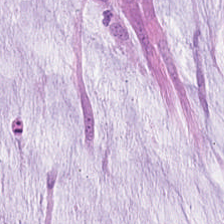WSI patch. H&E-stained tissue section.
Predominantly mucus.
